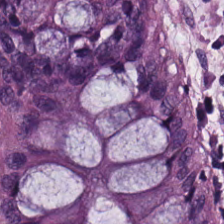Stain: H&E-stained tissue section.
Acquisition: whole-slide-image patch.
Tissue type: benign colonic mucosa.
